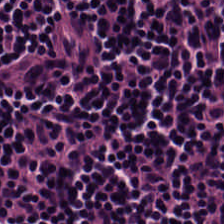Hematoxylin-and-eosin stained section — This field is lymphocytic infiltrate.
